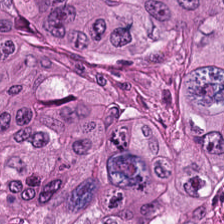Tissue class: malignant epithelium.
